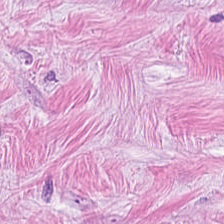H&E-stained tissue section — Impression — tumor stroma.
